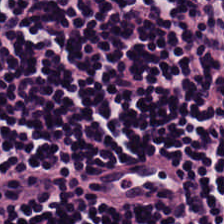FFPE · H&E-stained tissue section · 20× equivalent magnification.
Finding — lymphoid infiltrate.
